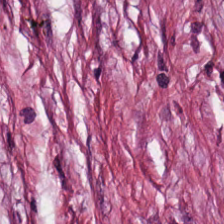Stain: H&E stain.
Tissue type: tumor stroma.
